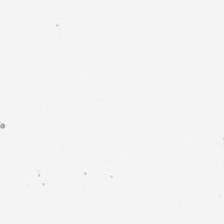H&E stain — Classification = no tissue.
